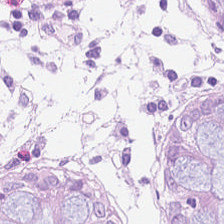0.5 microns per pixel; hematoxylin and eosin; 224×224 px tile.
The predominant tissue is non-neoplastic colon mucosa.
